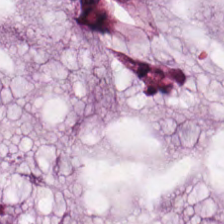Hematoxylin and eosin.
Q: What tissue type is shown here?
A: It is extracellular mucin.
